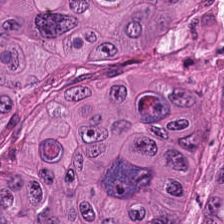H&E patch showing colorectal adenocarcinoma epithelium.
